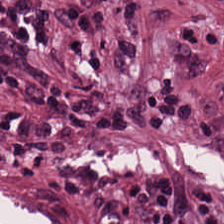FFPE · hematoxylin-and-eosin stained section · 224×224 px patch. Tumor-associated stroma.
